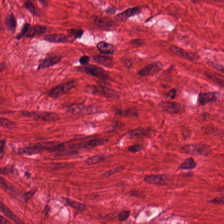Hematoxylin and eosin — This field is smooth muscle.
